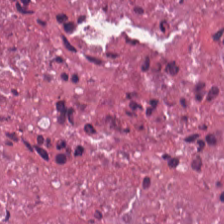0.5 µm per pixel. 224×224 px patch. H&E.
The tissue is cellular debris.
